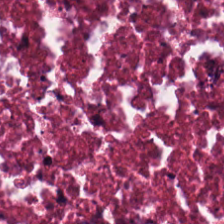H&E stain. Debris.
